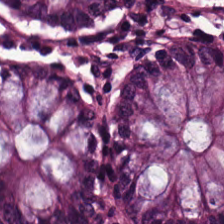Hematoxylin-and-eosin stained section. The predominant tissue is normal colon mucosa.
